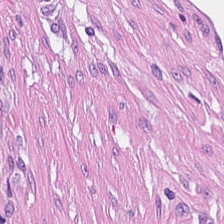H&E-stained tissue section showing tumor-associated stroma.
